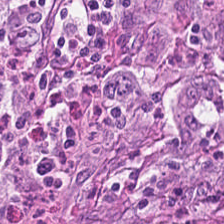Brightfield · hematoxylin and eosin. Q: Identify the tissue.
A: It is colorectal adenocarcinoma.
